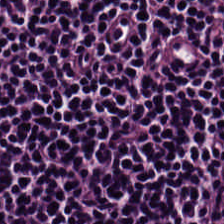FFPE; H&E-stained tissue section; 224×224 pixel tile — Q: What does this patch show?
A: The field shows lymphocyte aggregate.
